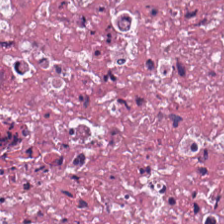H&E — Histology → necrotic debris.
